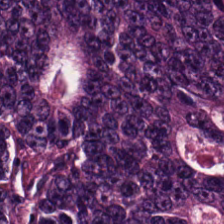Brightfield; H&E-stained tissue section; 224×224 pixel tile — Finding → adenocarcinoma.
